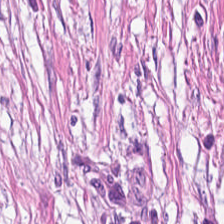Stain: H&E stain.
Tissue: tumor stroma.
